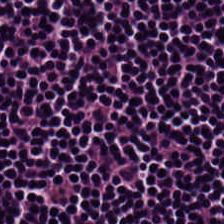Predominantly lymphocytic infiltrate.
